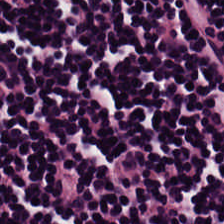FFPE tissue section. H&E-stained tissue section. Tissue class: lymphocytic infiltrate.
